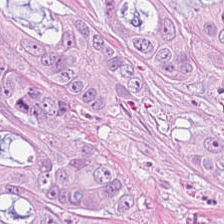H&E — Q: Classify this patch.
A: Malignant epithelium.
